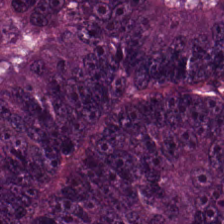H&E-stained tissue section — Colorectal adenocarcinoma.
